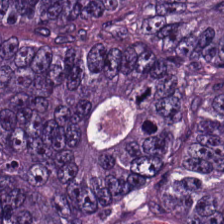Hematoxylin-and-eosin stained section; brightfield; 0.5 µm per pixel.
Showing malignant epithelium.
